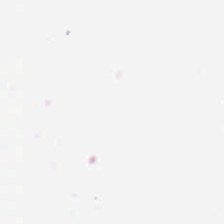H&E stain. FFPE.
Q: What does this patch show?
A: The field shows no tissue.
